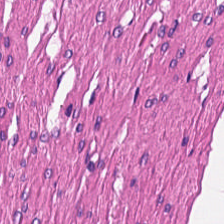H&E · FFPE. Q: Identify the tissue.
A: Smooth-muscle tissue.
